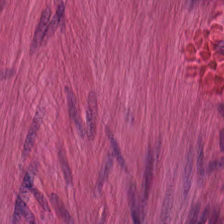Hematoxylin and eosin. Whole-slide-image patch — Finding — muscularis.
